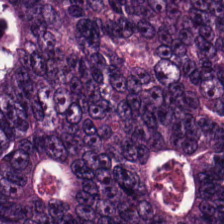224×224 px tile. H&E-stained tissue section.
Predominant tissue — malignant epithelium.
